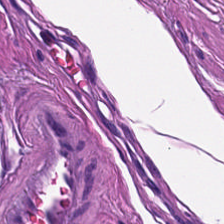Tissue type: smooth muscle.
